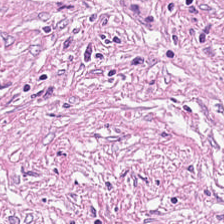224×224 px tile. Hematoxylin and eosin. Q: Identify the tissue.
A: This is desmoplastic stroma.
